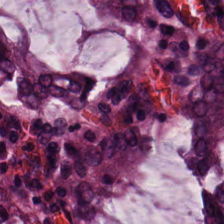Hematoxylin-and-eosin stained section.
This patch shows normal colon mucosa.
